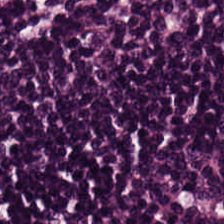This field is lymphocyte aggregate.
